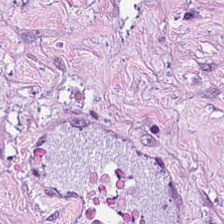Showing tumor-associated stroma.
